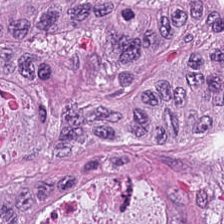WSI patch · hematoxylin and eosin.
Classification: malignant epithelium.
